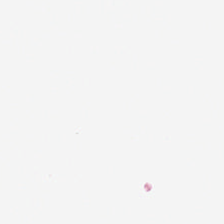Q: Classify this patch.
A: Background.
